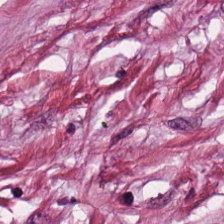H&E-stained tissue section — Cancer-associated stroma.
